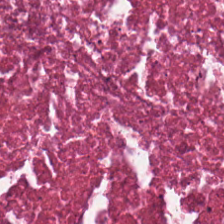Hematoxylin and eosin; 0.5 microns per pixel. This patch shows cellular debris.
